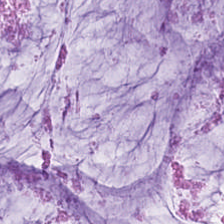FFPE · hematoxylin and eosin. The tissue type is mucus.
